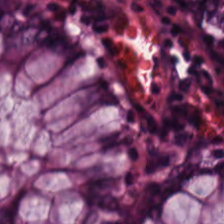Brightfield · 20× equivalent magnification · H&E-stained tissue section — The tissue is non-neoplastic colon mucosa.
